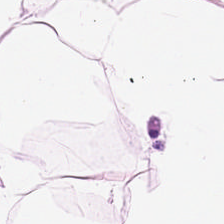H&E. Predominant tissue: adipocytes.
